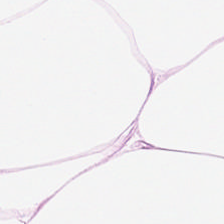224×224 pixel tile; H&E stain.
Showing fat tissue.
